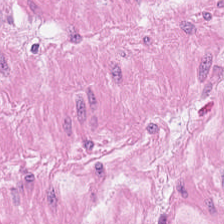Whole-slide-image patch. H&E. This patch shows smooth-muscle tissue.
